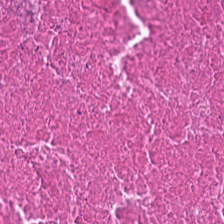Hematoxylin and eosin.
Tissue class — debris.
